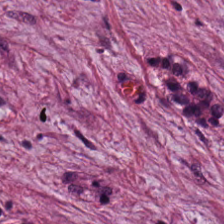WSI patch. 224×224 px tile. H&E stain.
Tissue = tumor-associated stroma.
